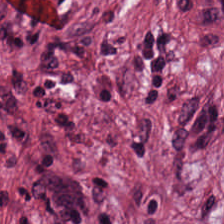H&E-stained tissue section.
Histology — tumor stroma.
